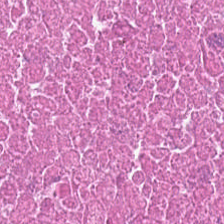H&E — Finding → cellular debris.
